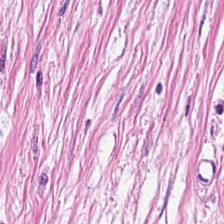H&E-stained tissue section. The predominant tissue is cancer-associated stroma.
